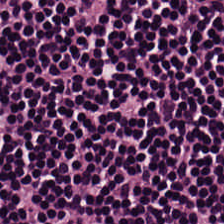Hematoxylin and eosin. {"tissue_type": "lymphocytic infiltrate"}
